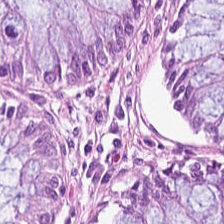H&E-stained tissue section; 224×224 px patch.
The tissue class is normal colonic mucosa.
